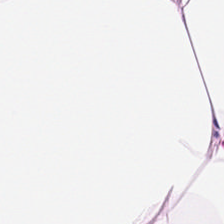Hematoxylin and eosin. Tissue class: fat tissue.
